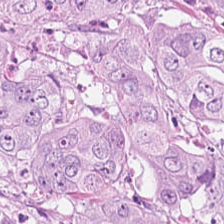Stain: H&E.
Tissue type: colorectal adenocarcinoma.
